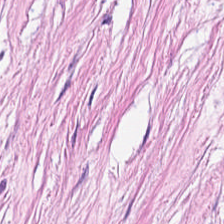Brightfield microscopy; hematoxylin and eosin.
Tissue type: tumor-associated stroma.
